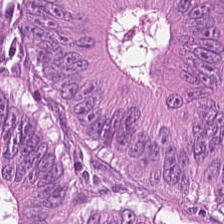Hematoxylin and eosin — {"tissue_type": "adenocarcinoma"}
